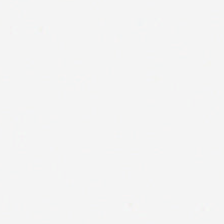Q: What is shown here?
A: Background.
